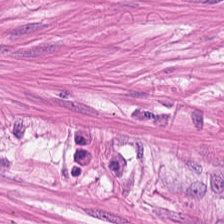Hematoxylin and eosin. 0.5 µm/px. 224×224 pixel tile. Tissue — smooth-muscle tissue.
